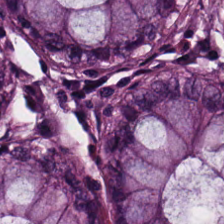20× equivalent magnification · H&E-stained tissue section — The tissue here is normal colon mucosa.
